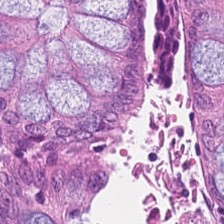Q: Classify this patch.
A: It is non-neoplastic colon mucosa.
